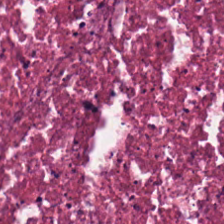Stain: H&E stain.
Resolution: 0.5 µm/px.
Tissue: debris.
